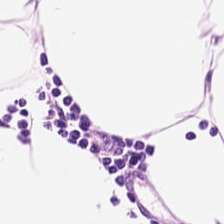This patch shows adipose tissue.
